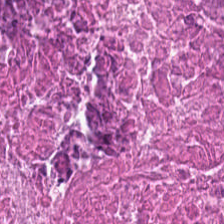224×224 pixel tile. Hematoxylin-and-eosin stained section. Finding → debris.
